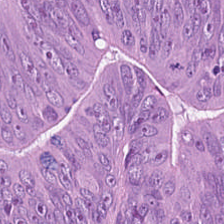Formalin-fixed paraffin-embedded section. Hematoxylin and eosin.
Q: Classify this patch.
A: This is tumor epithelium.
